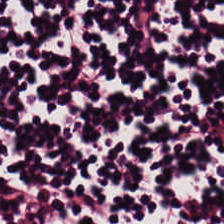Hematoxylin-and-eosin stained section · 0.5 µm/px — Tissue type: lymphocytic infiltrate.
